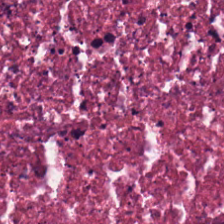224×224 pixel tile. FFPE. H&E stain — Tissue class: debris.
